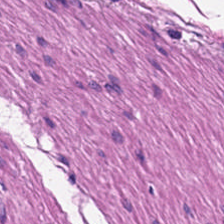H&E stain.
Tissue class = smooth-muscle tissue.
